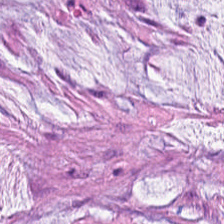H&E-stained tissue section. Q: What is the predominant tissue type?
A: The field shows mucus.
